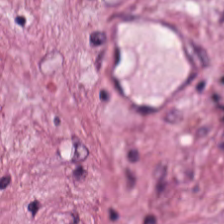Stain: H&E.
Predominant tissue: desmoplastic stroma.
